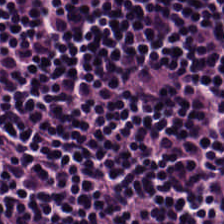Q: Classify this patch.
A: This is lymphocytes.
